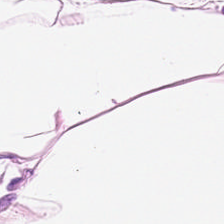H&E. Q: What tissue type is shown here?
A: Adipose tissue.
